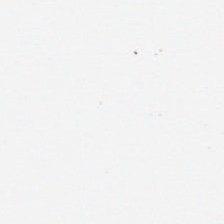H&E stain — Histology — background.
